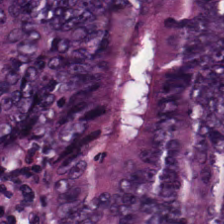0.5 µm per pixel · hematoxylin-and-eosin stained section · 224×224 pixel tile — Tissue = tumor epithelium.
